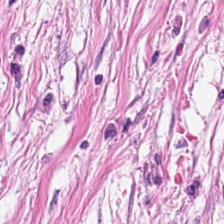H&E stain — The tissue here is tumor-associated stroma.
